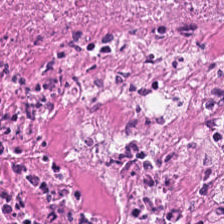H&E stain; brightfield microscopy. Finding → debris.
